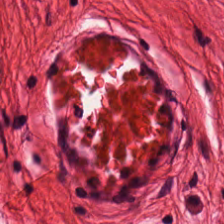Stain: hematoxylin and eosin.
Classification: muscularis.
